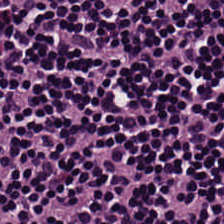224×224 pixel tile; H&E-stained tissue section.
Tissue class: lymphocyte aggregate.
